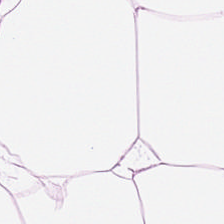H&E. 224×224 px patch.
Showing adipocytes.
